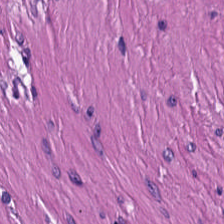Hematoxylin-and-eosin stained section · brightfield microscopy. Smooth-muscle tissue.
